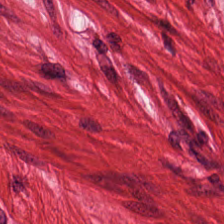H&E-stained tissue section — Showing smooth muscle.
